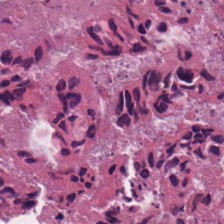H&E. Finding — cellular debris.
